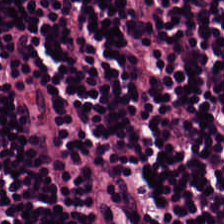H&E. Q: What tissue type is shown here?
A: The field shows lymphocytes.
